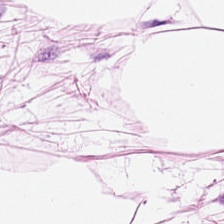H&E-stained tissue section showing adipocytes.
